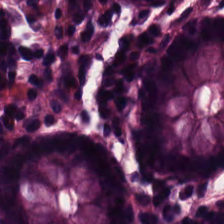H&E — Finding → benign colonic mucosa.
